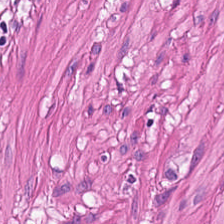H&E stain · 0.5 microns per pixel · 224×224 px tile — Histology → smooth-muscle tissue.
